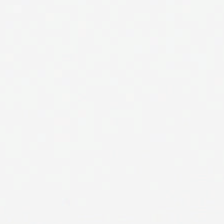H&E-stained tissue section.
The classification is background (no tissue).
